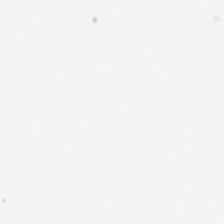Stain: H&E.
Content: background (no tissue).
